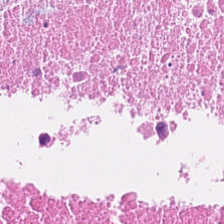Stain: hematoxylin-and-eosin stained section.
Preparation: formalin-fixed paraffin-embedded section.
Resolution: 20× equivalent magnification.
Tissue type: debris.
